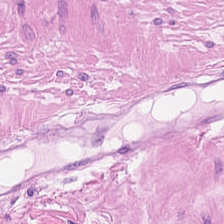Stain: H&E.
Predominant tissue: smooth muscle.
